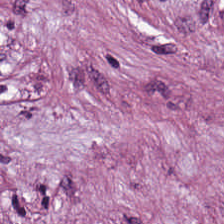Hematoxylin and eosin. Predominant tissue = tumor-associated stroma.
